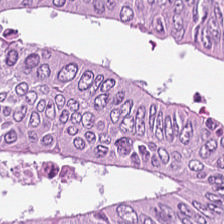H&E stain — The tissue here is colorectal adenocarcinoma.
